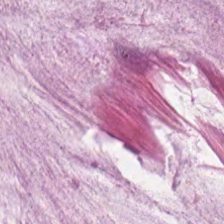Mucin.
